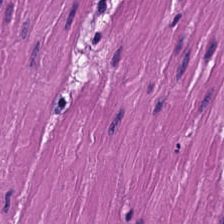H&E — This patch shows smooth muscle.
